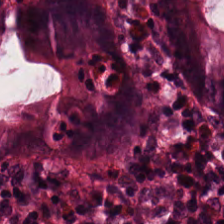Showing normal colon mucosa.
